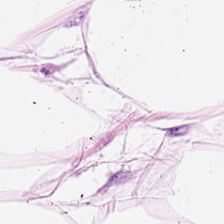H&E-stained tissue section; 0.5 µm/px — Q: What tissue is shown?
A: Adipocytes.
